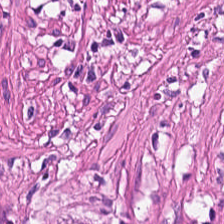Classification — smooth muscle.
